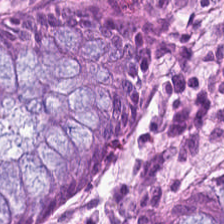Hematoxylin-and-eosin stained section.
The tissue here is non-neoplastic colon mucosa.
